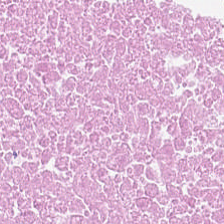H&E stain. The predominant tissue is debris.
